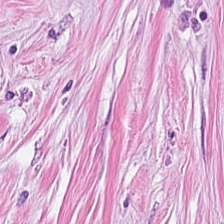Hematoxylin-and-eosin stained section; brightfield — {"tissue_type": "desmoplastic stroma"}
